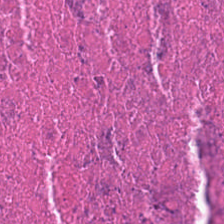H&E. Showing debris.
